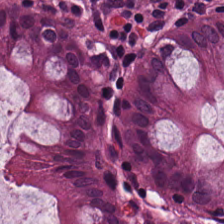H&E; formalin-fixed paraffin-embedded section; 224×224 pixel tile — Q: Identify the tissue.
A: Normal colon mucosa.
